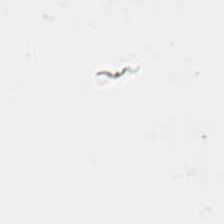Hematoxylin and eosin. Empty field — empty background.
